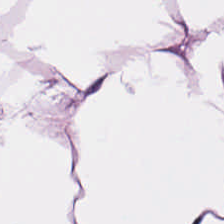Formalin-fixed paraffin-embedded section · H&E stain — Predominant tissue = fat tissue.
